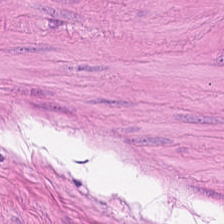224×224 pixel tile. H&E stain. Formalin-fixed paraffin-embedded section.
Showing muscularis.
